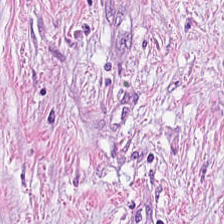H&E-stained tissue section — The tissue class is desmoplastic stroma.
